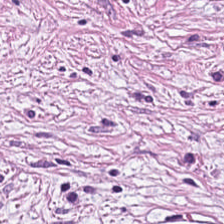Brightfield; H&E-stained tissue section — This field is cancer-associated stroma.
